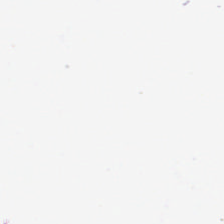The content is background (no tissue).
